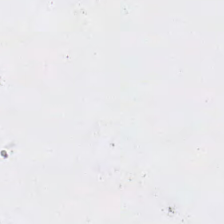0.5 microns per pixel; hematoxylin and eosin. {"content": "empty background"}
